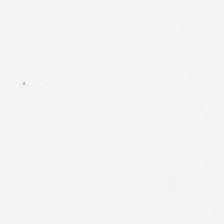Hematoxylin and eosin. This field is background (no tissue).
